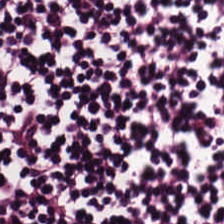{"tissue_type": "lymphoid infiltrate"}
